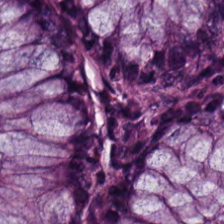FFPE tissue section · brightfield microscopy · H&E-stained tissue section. Finding → normal colonic mucosa.
